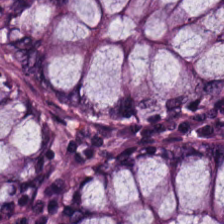Hematoxylin-and-eosin stained section — Classification: normal colonic mucosa.
